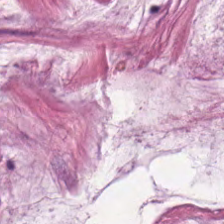Q: What tissue is shown?
A: Mucin.
